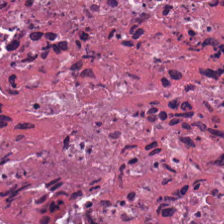H&E stain; WSI patch. Necrotic debris.
